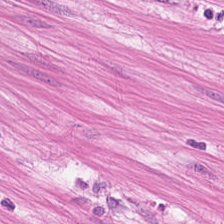Impression → smooth muscle.
